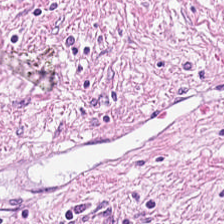Hematoxylin and eosin. The tissue type is tumor stroma.
